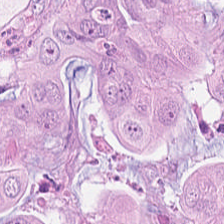H&E-stained tissue section. Q: Identify the tissue.
A: This is malignant epithelium.
